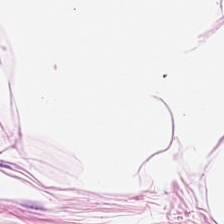Hematoxylin-and-eosin section: adipocytes.
